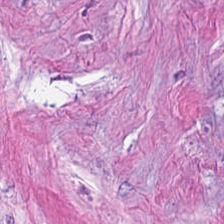Impression — desmoplastic stroma.
